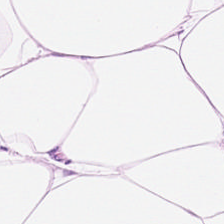Stain: hematoxylin and eosin.
Acquisition: WSI patch.
Tissue type: adipocytes.
